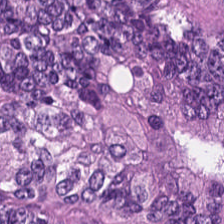H&E-stained tissue section.
{"tissue_type": "malignant epithelium"}
